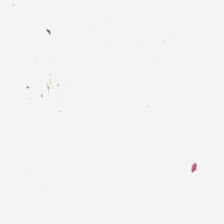Background.
